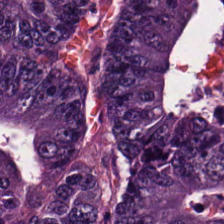Hematoxylin and eosin. Q: What does this patch show?
A: It is colorectal adenocarcinoma.
